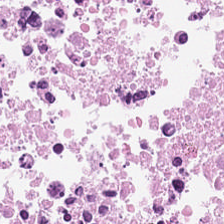Hematoxylin and eosin.
Q: What is the predominant tissue type?
A: The field shows debris.
